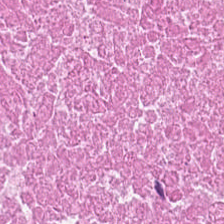WSI patch. 224×224 px patch. Hematoxylin-and-eosin stained section. Debris.
